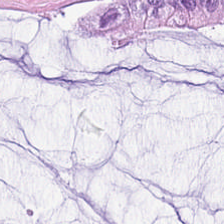H&E stain · 224×224 px patch. Histology — mucus.
